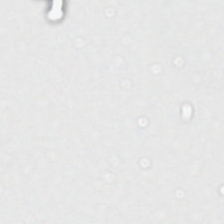0.5 µm/px; FFPE; hematoxylin-and-eosin stained section.
Background — no tissue in this field.
